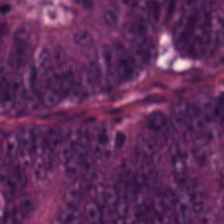The tissue here is malignant epithelium.
